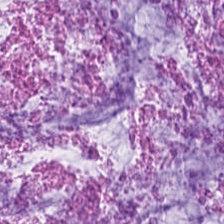Brightfield · FFPE tissue section · hematoxylin and eosin — Q: What type of tissue is this?
A: This is mucus.
